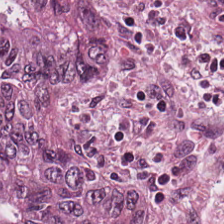Stain: H&E.
Tissue class: tumor epithelium.
